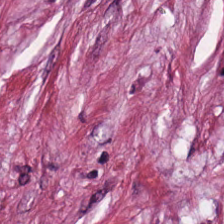0.5 microns per pixel · hematoxylin-and-eosin stained section · 224×224 px tile.
Predominant tissue: tumor stroma.
